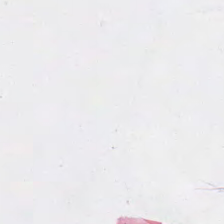H&E — {"content": "no tissue"}
